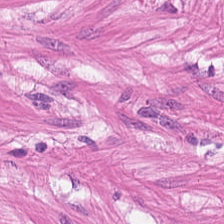H&E-stained section; the field shows smooth-muscle tissue.
